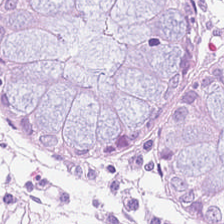Stain: hematoxylin and eosin.
Acquisition: brightfield microscopy.
Preparation: FFPE.
Classification: normal colonic mucosa.
